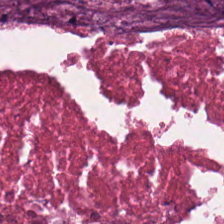Hematoxylin and eosin. The tissue class is debris.
